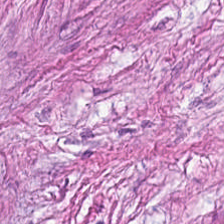Stain: H&E.
Classification: cancer-associated stroma.
